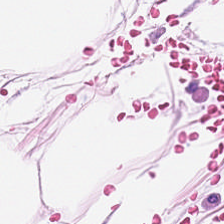Brightfield microscopy. H&E. Predominant tissue = fat tissue.
